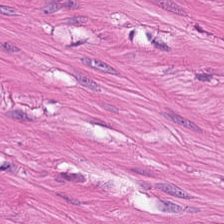0.5 µm per pixel. Hematoxylin-and-eosin stained section. Brightfield microscopy — Predominantly smooth-muscle tissue.
